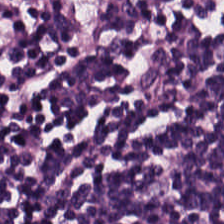H&E. Classification — lymphocyte aggregate.
